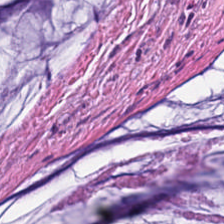H&E; 224×224 px patch; FFPE tissue section.
Q: What tissue type is shown here?
A: This is mucus.
